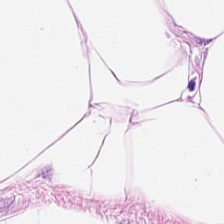0.5 µm per pixel; hematoxylin-and-eosin stained section.
Classification — adipocytes.
